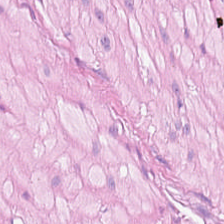Stain: hematoxylin-and-eosin stained section.
Tissue: smooth muscle.
